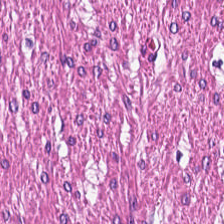Stain: H&E stain.
Tile size: 224×224 px patch.
Resolution: 0.5 µm per pixel.
Tissue: muscularis.
